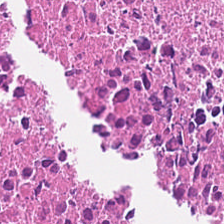Tissue — cellular debris.
